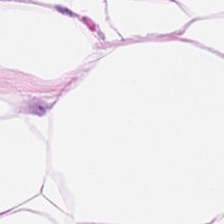FFPE. H&E-stained tissue section. 0.5 µm per pixel. Tissue class — adipose.
